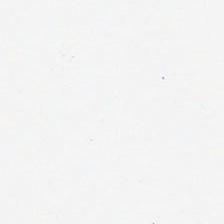Q: What does this patch show?
A: No tissue.
